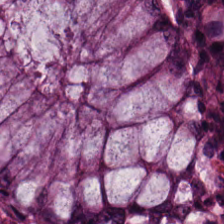Hematoxylin and eosin. The tissue here is normal colonic mucosa.
